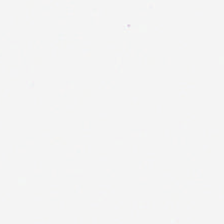Whole-slide-image patch · 224×224 px patch · hematoxylin-and-eosin stained section — Finding → no tissue.
